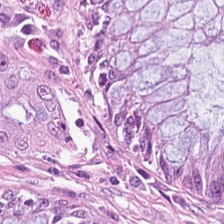Hematoxylin and eosin — Tissue class — non-neoplastic colon mucosa.
